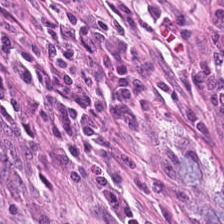Stain: H&E stain.
Resolution: 0.5 microns per pixel.
Tissue type: non-neoplastic colon mucosa.
